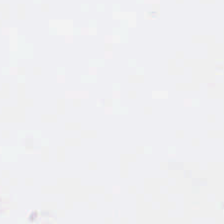Hematoxylin-and-eosin stained section — Classification = background (no tissue).
